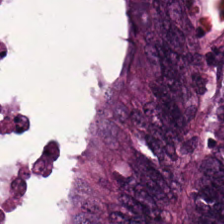H&E · 0.5 microns per pixel · FFPE tissue section — Tissue class — colorectal adenocarcinoma epithelium.
